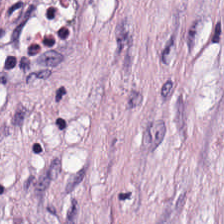Stain: H&E stain.
Resolution: 0.5 µm/px.
Tissue: tumor stroma.
